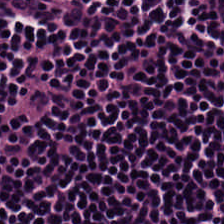0.5 microns per pixel. H&E — Classification = lymphocytic infiltrate.
